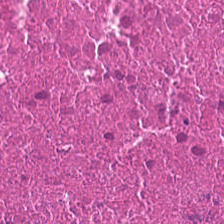Tissue = debris.
